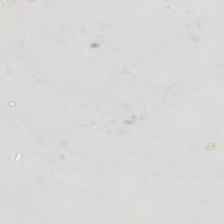H&E-stained tissue section. Background — no tissue in this field.
